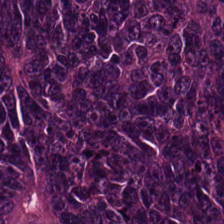Stain: H&E stain.
Predominant tissue: tumor epithelium.
